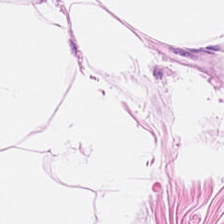Stain: hematoxylin-and-eosin stained section.
Preparation: FFPE tissue section.
Tile size: 224×224 px tile.
Tissue class: fat tissue.
